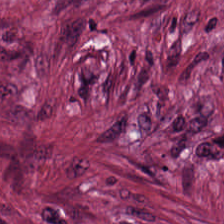H&E. 0.5 µm per pixel. This field is desmoplastic stroma.
